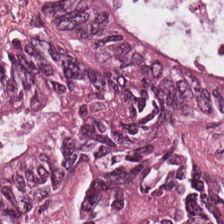Whole-slide-image patch. 0.5 µm/px. H&E-stained tissue section. Tissue type: colorectal adenocarcinoma epithelium.
